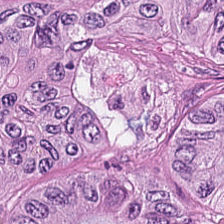Q: What is shown in this field?
A: It is colorectal adenocarcinoma epithelium.
